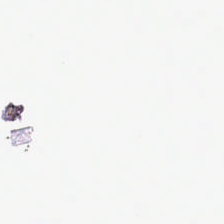Background — no tissue in this field.
